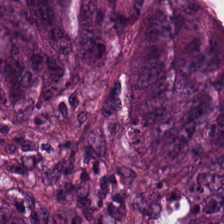H&E stain. 224×224 px patch — The tissue is malignant epithelium.
